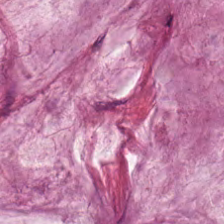H&E stain; 0.5 µm per pixel; brightfield.
{"tissue_type": "extracellular mucin"}
